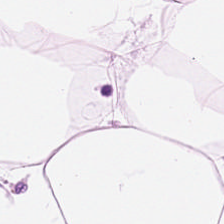H&E-stained tissue section. FFPE. Tissue type — adipose.
